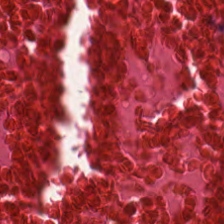H&E stain — The predominant tissue is necrotic debris.
